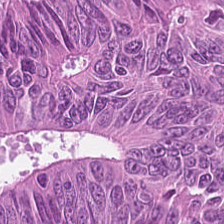H&E.
Classification = colorectal adenocarcinoma.
